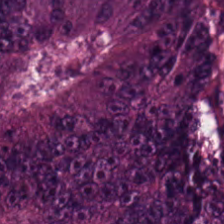Predominant tissue = tumor epithelium.
